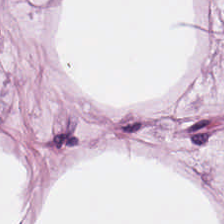H&E · brightfield — This patch shows adipose tissue.
